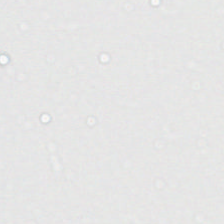0.5 microns per pixel. Hematoxylin and eosin. This field is background (no tissue).
